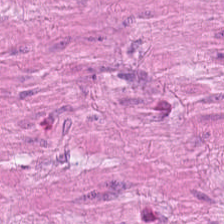Hematoxylin-and-eosin stained section; formalin-fixed paraffin-embedded section. Q: What type of tissue is this?
A: It is smooth muscle.
